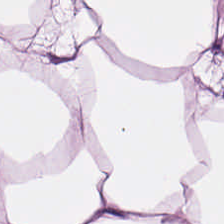Hematoxylin and eosin — Q: Classify this patch.
A: Fat tissue.
